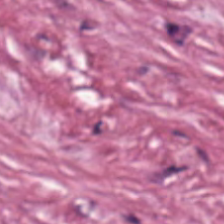Stain: H&E.
Tissue class: tumor-associated stroma.
